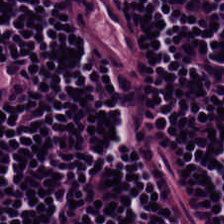Hematoxylin and eosin — Lymphoid infiltrate.
